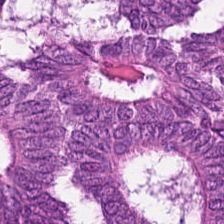Hematoxylin and eosin. Finding → malignant epithelium.
